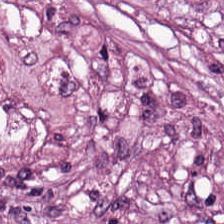H&E-stained tissue section.
Tissue: cancer-associated stroma.
